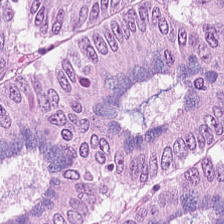FFPE. H&E-stained tissue section — {"tissue_type": "colorectal adenocarcinoma epithelium"}
